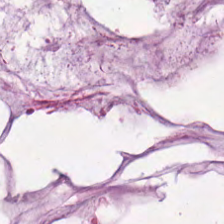Stain: H&E stain.
Acquisition: WSI patch.
Preparation: formalin-fixed paraffin-embedded section.
Predominant tissue: extracellular mucin.
